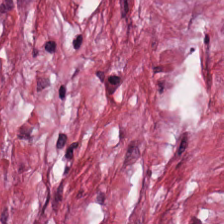224×224 pixel tile. Hematoxylin and eosin. WSI patch.
This field is cancer-associated stroma.
